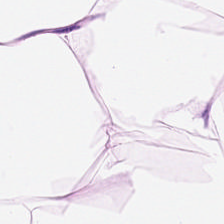Hematoxylin and eosin.
Tissue type = adipose.
